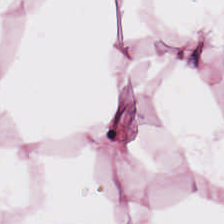Brightfield microscopy · FFPE · H&E — Adipose.
